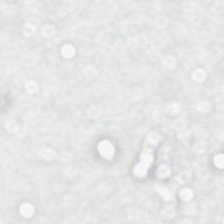Empty field — empty background.
